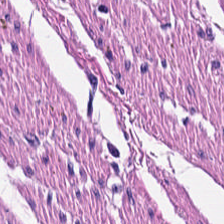0.5 µm/px. H&E-stained tissue section — Q: What is shown here?
A: Muscularis.
